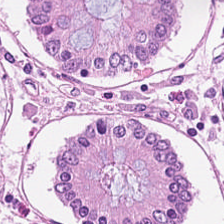H&E.
{"tissue_type": "non-neoplastic colon mucosa"}
